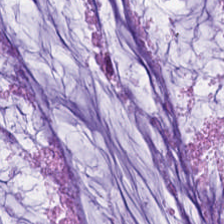Hematoxylin-and-eosin stained section. The predominant tissue is mucin.
